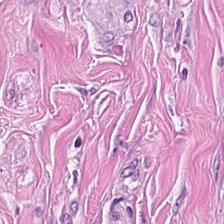H&E-stained section; the field shows tumor stroma.
